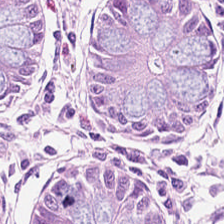H&E — Q: What is the predominant tissue type?
A: Benign colonic mucosa.
